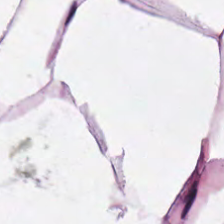Hematoxylin and eosin.
Adipose tissue.
